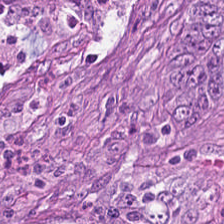FFPE tissue section. H&E-stained tissue section. Q: What is the predominant tissue type?
A: Colorectal adenocarcinoma epithelium.
